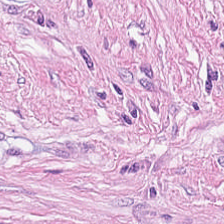H&E. FFPE. Brightfield.
This patch shows desmoplastic stroma.
